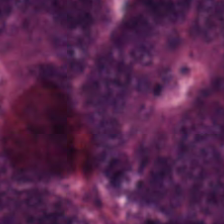H&E.
Predominant tissue: tumor epithelium.
